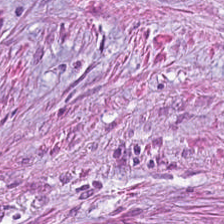Formalin-fixed paraffin-embedded section · H&E. This patch shows desmoplastic stroma.
